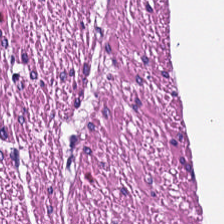Hematoxylin-and-eosin stained section. Predominantly smooth-muscle tissue.
